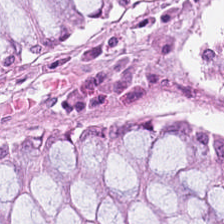Formalin-fixed paraffin-embedded section; 0.5 microns per pixel; H&E-stained tissue section. Histology — normal colon mucosa.
